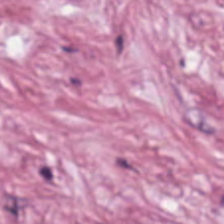H&E.
Showing tumor stroma.
